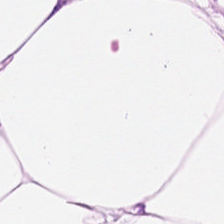H&E. Tissue: fat tissue.
